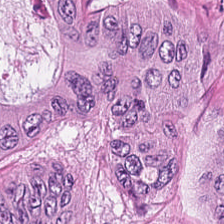Q: What is shown here?
A: It is tumor epithelium.
